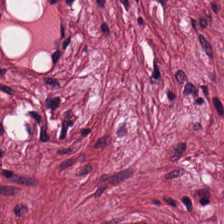Stain: H&E-stained tissue section.
Acquisition: brightfield microscopy.
Tile size: 224×224 pixel tile.
Predominant tissue: tumor-associated stroma.
